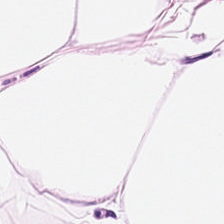H&E — fat tissue.
